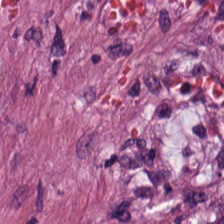224×224 px patch · hematoxylin-and-eosin stained section · 0.5 µm/px — Tissue = tumor-associated stroma.
